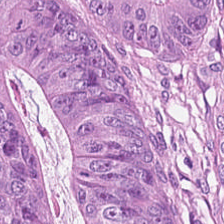H&E-stained section; the field shows tumor epithelium.
